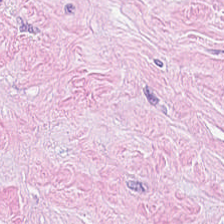H&E — The tissue here is tumor stroma.
